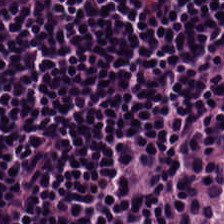H&E.
Tissue: lymphocytic infiltrate.
